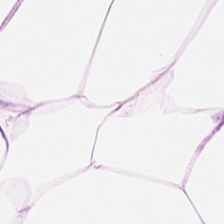Hematoxylin and eosin — The classification is adipocytes.
